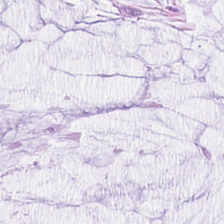H&E-stained tissue section showing mucus.
